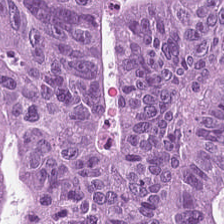H&E-stained tissue section.
Classification: adenocarcinoma.
